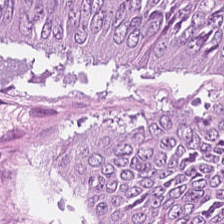H&E — The tissue here is colorectal adenocarcinoma epithelium.
